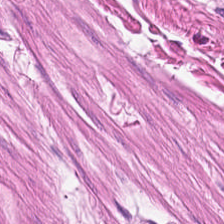224×224 px patch. Hematoxylin-and-eosin stained section. Formalin-fixed paraffin-embedded section.
This patch shows muscularis.
